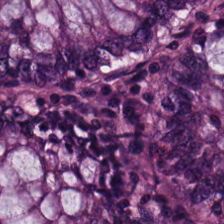Whole-slide-image patch. Hematoxylin-and-eosin stained section.
This field is normal colon mucosa.
